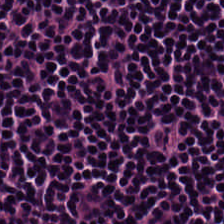Brightfield; formalin-fixed paraffin-embedded section; hematoxylin and eosin. Q: What does this patch show?
A: It is lymphocyte aggregate.
